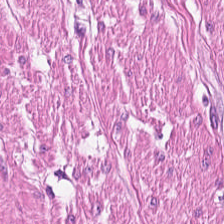Stain: H&E.
Tissue: smooth muscle.
